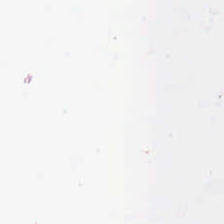Hematoxylin-and-eosin stained section. Q: What does this patch show?
A: This is background (no tissue).
